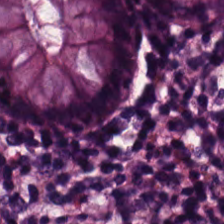Hematoxylin and eosin — Tissue class = normal colonic mucosa.
